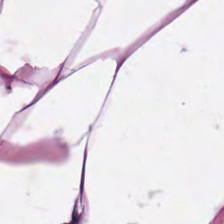H&E stain · brightfield — Histology → fat tissue.
